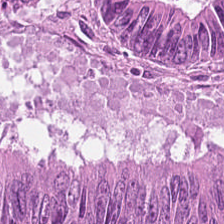Hematoxylin-and-eosin stained section; 0.5 µm per pixel.
The tissue here is colorectal adenocarcinoma epithelium.
